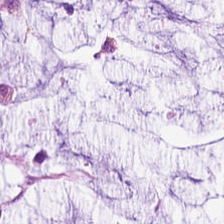Impression → mucin.
